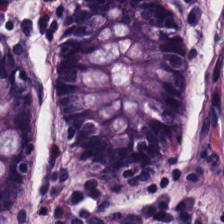Hematoxylin-and-eosin section: normal colon mucosa.
